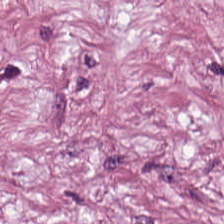Hematoxylin-and-eosin stained section. Formalin-fixed paraffin-embedded section. 224×224 px tile.
{"tissue_type": "tumor stroma"}
